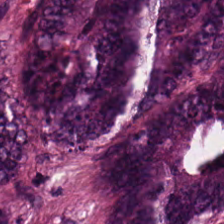FFPE · 20× equivalent magnification · H&E stain.
Tissue type — colorectal adenocarcinoma epithelium.
